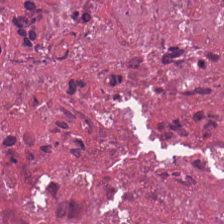H&E — cellular debris.
